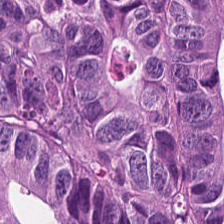H&E stain. Tissue — colorectal adenocarcinoma.
